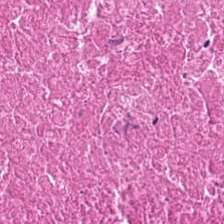Q: What is shown here?
A: Necrotic debris.
